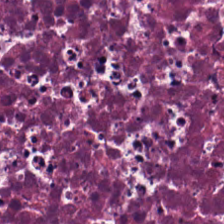Hematoxylin-and-eosin stained section.
Predominant tissue: cellular debris.
